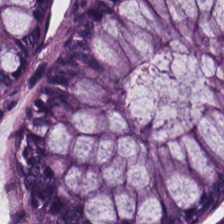H&E. Classification = benign colonic mucosa.
